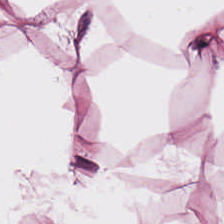Q: What tissue is shown?
A: It is adipose.
